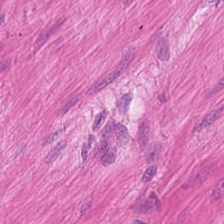H&E-stained tissue section.
Showing muscularis.
